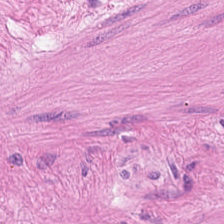Tissue type — muscularis.
